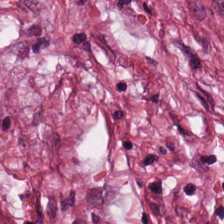This field is desmoplastic stroma.
